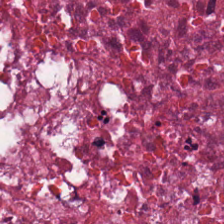H&E-stained tissue section; FFPE; 224×224 px patch. Q: What is shown in this field?
A: It is debris.
